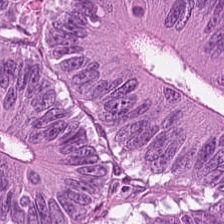Hematoxylin-and-eosin stained section — The tissue class is tumor epithelium.
